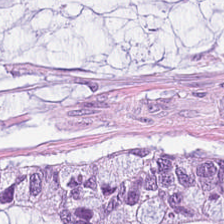H&E-stained tissue section.
This patch shows extracellular mucin.
